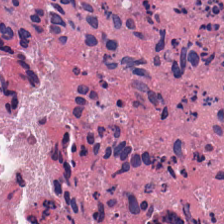H&E stain. Whole-slide-image patch.
This patch shows cellular debris.
